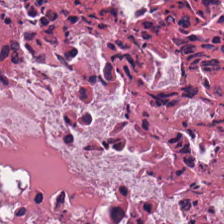The tissue here is debris.
